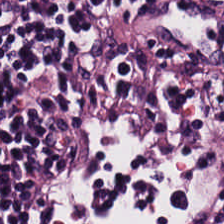Tissue = lymphoid infiltrate.
